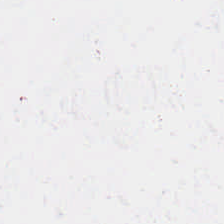Finding → background.
